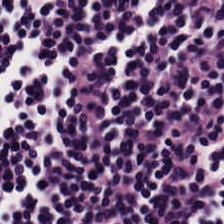The predominant tissue is lymphoid infiltrate.
